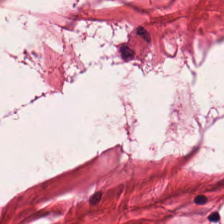224×224 px patch; H&E stain; 0.5 µm/px. {"tissue_type": "muscularis"}
